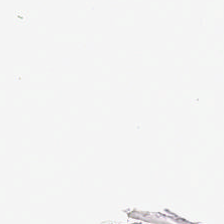H&E stain. Content = background (no tissue).
